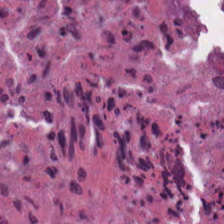Hematoxylin-and-eosin stained section.
Tissue type — cellular debris.
